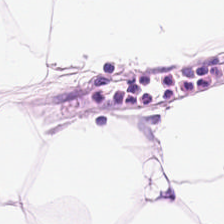Stain: H&E stain.
Acquisition: brightfield.
Tissue type: adipocytes.
